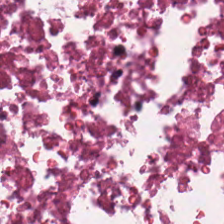Hematoxylin-and-eosin stained section; 0.5 µm/px — Predominant tissue = cellular debris.
